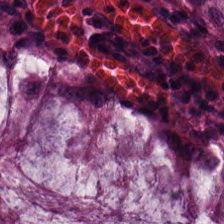H&E-stained tissue section — This field is non-neoplastic colon mucosa.
